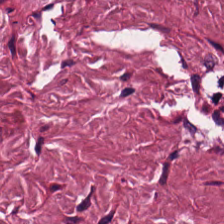WSI patch. FFPE tissue section. H&E-stained tissue section.
{"tissue_type": "tumor-associated stroma"}
